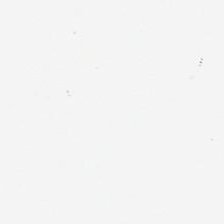Stain: H&E.
Acquisition: brightfield microscopy.
Resolution: 0.5 µm/px.
Field content: no tissue.
